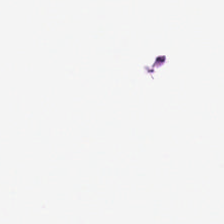Classification = background (no tissue).
